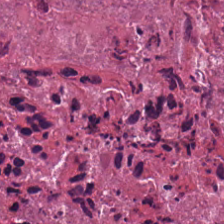Showing necrotic debris.
